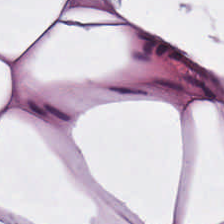H&E-stained tissue section — The tissue is adipose.
